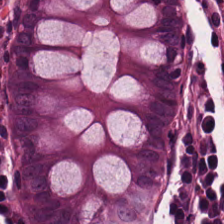Hematoxylin-and-eosin stained section · 0.5 µm per pixel — Finding → normal colon mucosa.
